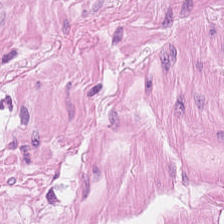H&E-stained tissue section; 224×224 pixel tile; 0.5 microns per pixel — Smooth-muscle tissue.
